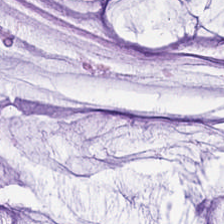Hematoxylin and eosin · brightfield microscopy · 0.5 microns per pixel. Showing mucin.
